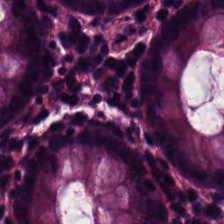Hematoxylin-and-eosin stained section. The predominant tissue is normal colon mucosa.
